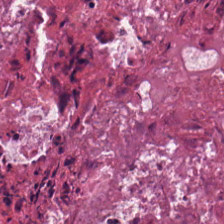0.5 µm per pixel; H&E-stained tissue section — Histology → cellular debris.
